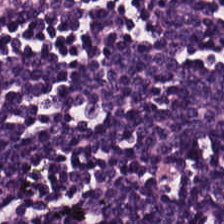H&E-stained tissue section. 224×224 pixel tile.
The predominant tissue is lymphoid infiltrate.
